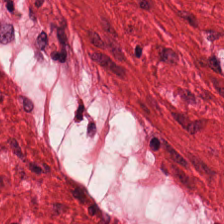Hematoxylin-and-eosin stained section. Smooth-muscle tissue.
